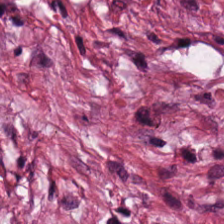H&E stain.
Tissue type: tumor stroma.
